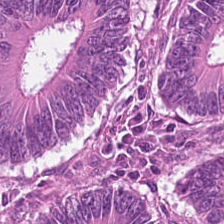Tissue: adenocarcinoma.
